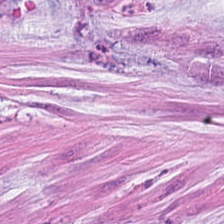0.5 microns per pixel · brightfield microscopy · H&E — This patch shows extracellular mucin.
